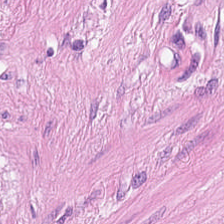Q: What tissue type is shown here?
A: The field shows smooth-muscle tissue.
